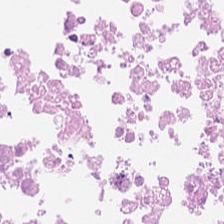Hematoxylin and eosin · FFPE tissue section · 224×224 pixel tile. Showing cellular debris.
